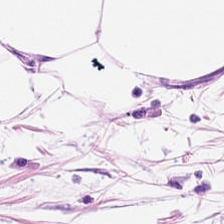Stain: hematoxylin-and-eosin stained section.
Tile size: 224×224 pixel tile.
Tissue type: adipose tissue.
